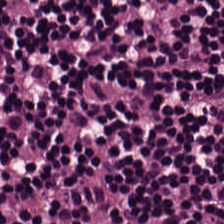Q: What is shown in this field?
A: It is lymphocytic infiltrate.
